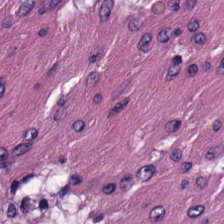H&E stain.
Q: What tissue type is shown here?
A: This is smooth muscle.
